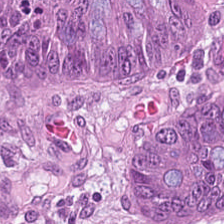H&E — The tissue is tumor epithelium.
